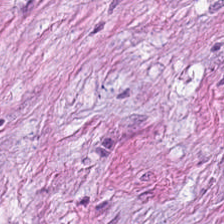Hematoxylin and eosin — This patch shows desmoplastic stroma.
